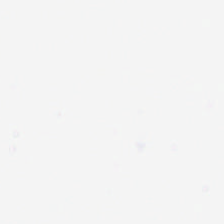H&E. Content = background.
